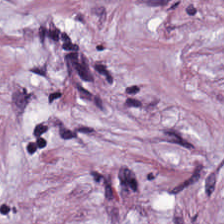Hematoxylin and eosin · formalin-fixed paraffin-embedded section · 224×224 pixel tile. {"tissue_type": "desmoplastic stroma"}
